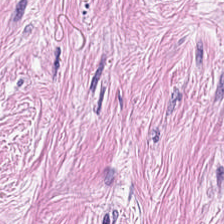{"tissue_type": "tumor-associated stroma"}
